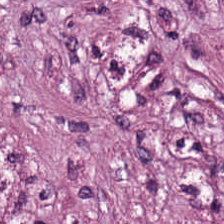H&E-stained tissue section. 20× equivalent magnification — Q: Identify the tissue.
A: It is tumor stroma.
